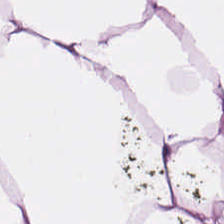The tissue here is adipocytes.
